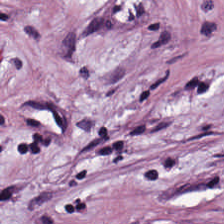Stain: H&E stain.
Tile size: 224×224 px tile.
Acquisition: brightfield.
Tissue: tumor stroma.
